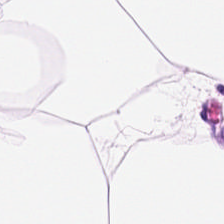Hematoxylin-and-eosin stained section; 224×224 px tile.
Q: What is the predominant tissue type?
A: It is adipocytes.
